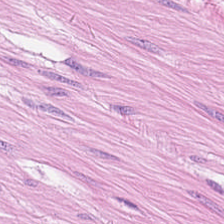WSI patch · H&E stain — {"tissue_type": "smooth muscle"}
